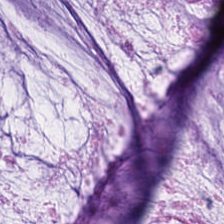Hematoxylin and eosin — Q: What does this patch show?
A: This is mucin.
